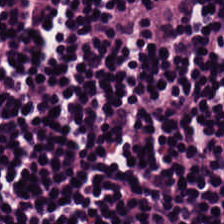Hematoxylin and eosin — Predominantly lymphocyte aggregate.
